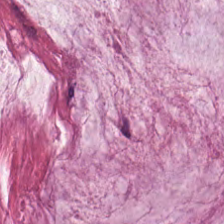This field is extracellular mucin.
